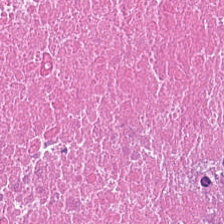Q: What type of tissue is this?
A: The field shows debris.
